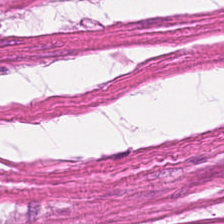Hematoxylin and eosin · formalin-fixed paraffin-embedded section · 20× equivalent magnification. The tissue is muscularis.
